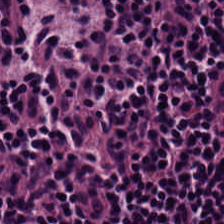H&E; 224×224 pixel tile. Predominant tissue: lymphoid infiltrate.
